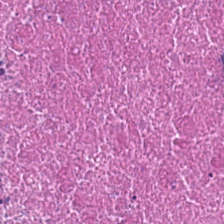H&E-stained tissue section.
Tissue class: debris.
